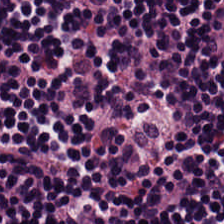224×224 px patch; whole-slide-image patch; H&E-stained tissue section. The tissue class is lymphocyte aggregate.
